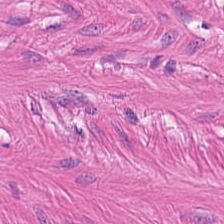Tissue class = muscularis.
